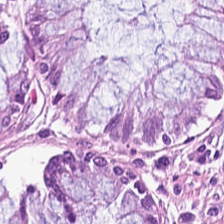Hematoxylin-and-eosin stained section · brightfield · FFPE tissue section — The tissue type is non-neoplastic colon mucosa.
